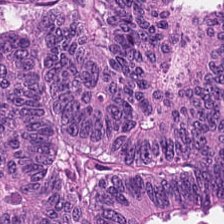Hematoxylin-and-eosin section: colorectal adenocarcinoma.
